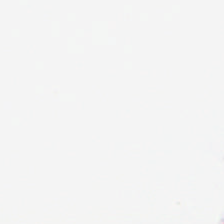224×224 px patch; hematoxylin-and-eosin stained section — Histology — background (no tissue).
